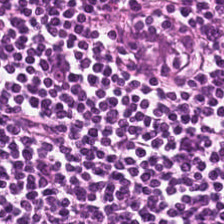Hematoxylin and eosin. Q: What is shown here?
A: This is lymphocytic infiltrate.
